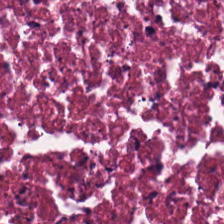Formalin-fixed paraffin-embedded section; H&E. Tissue type — debris.
